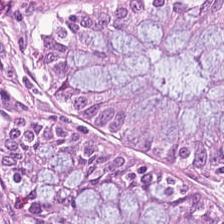This field is benign colonic mucosa.
